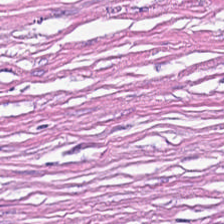20× equivalent magnification; H&E.
Q: Identify the tissue.
A: Desmoplastic stroma.
